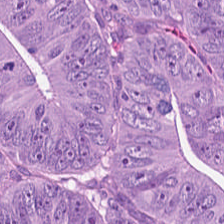H&E — colorectal adenocarcinoma.
